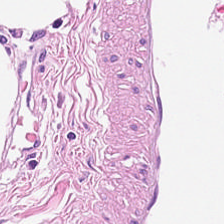H&E-stained tissue section — {"tissue_type": "fat tissue"}
